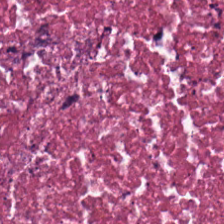Hematoxylin and eosin.
Tissue type — debris.
